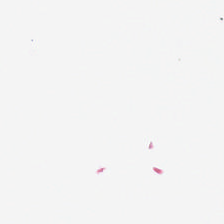Background — no tissue in this field.
